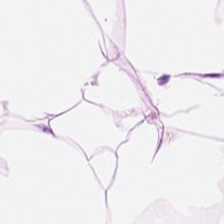Tissue class: adipose tissue.
